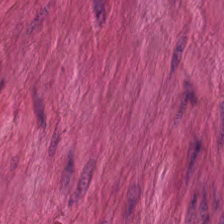H&E-stained tissue section.
Tissue type — smooth-muscle tissue.
